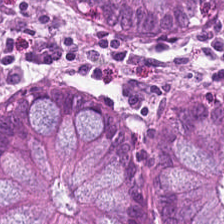Stain: H&E-stained tissue section.
Resolution: 0.5 microns per pixel.
Predominant tissue: benign colonic mucosa.
